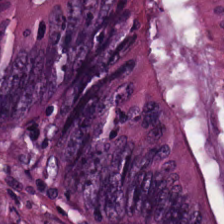Hematoxylin-and-eosin stained section. {"tissue_type": "adenocarcinoma"}
